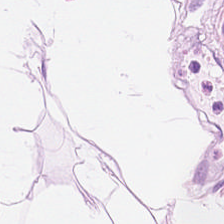H&E-stained section; the field shows fat tissue.
